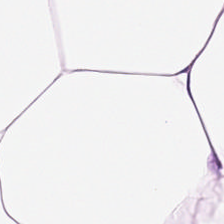FFPE; hematoxylin-and-eosin stained section; WSI patch — Tissue class: fat tissue.
